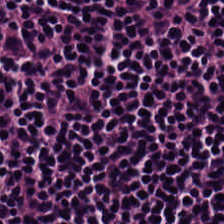Impression — lymphocytic infiltrate.
